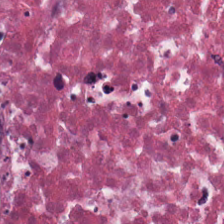H&E — Q: Classify this patch.
A: It is cellular debris.
